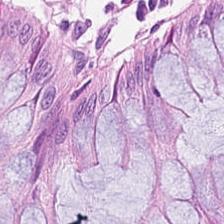Tissue class: benign colonic mucosa.
